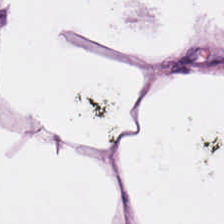0.5 µm/px · H&E-stained tissue section — Showing fat tissue.
